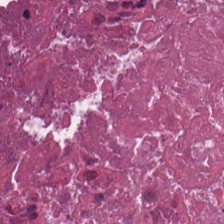Hematoxylin and eosin — The predominant tissue is necrotic debris.
